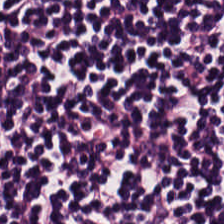Brightfield microscopy; hematoxylin and eosin — Tissue class: lymphocyte aggregate.
